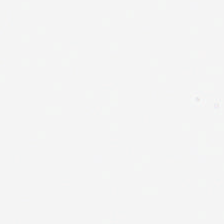Hematoxylin-and-eosin stained section. The field content is background.
